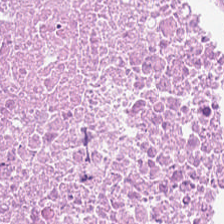Stain: H&E stain.
Tissue type: cellular debris.
